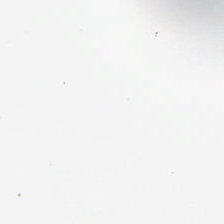FFPE tissue section; H&E-stained tissue section. {"content": "no tissue"}
